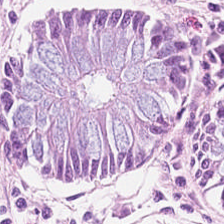Finding → normal colon mucosa.
